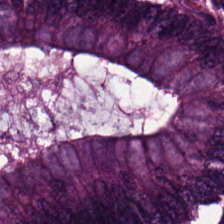H&E-stained tissue section.
Finding — tumor epithelium.
